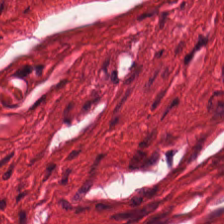Hematoxylin-and-eosin section: smooth muscle.
